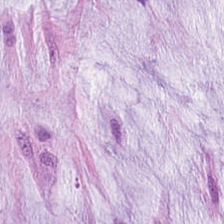Stain: H&E stain.
Acquisition: brightfield microscopy.
Tissue: extracellular mucin.
